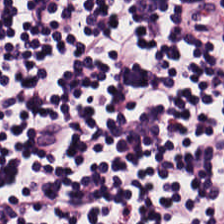Stain: hematoxylin-and-eosin stained section.
Tissue type: lymphoid infiltrate.
